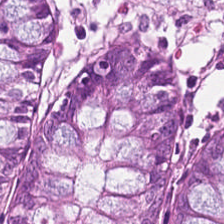H&E — This field is benign colonic mucosa.
